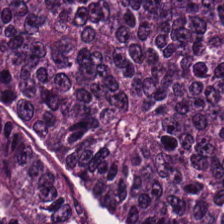H&E-stained tissue section — Colorectal adenocarcinoma epithelium.
